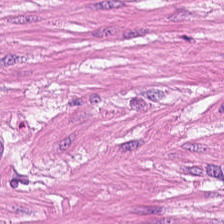H&E — Classification = muscularis.
